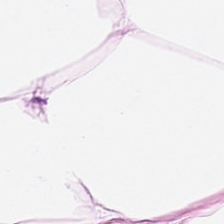H&E patch showing adipose tissue.
